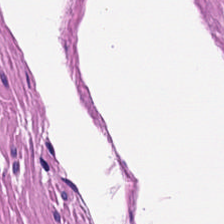Hematoxylin and eosin.
Tissue type — muscularis.
